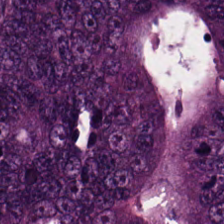Classification — colorectal adenocarcinoma.
